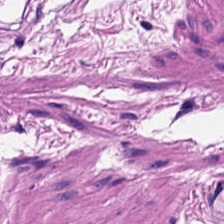Stain: H&E-stained tissue section.
Resolution: 0.5 µm per pixel.
Tile size: 224×224 px tile.
Predominant tissue: smooth-muscle tissue.
